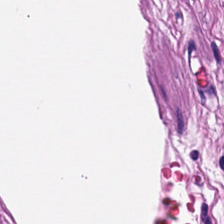H&E — smooth-muscle tissue.
